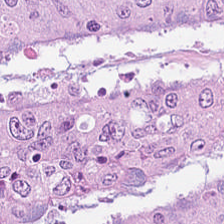Predominant tissue — adenocarcinoma.
